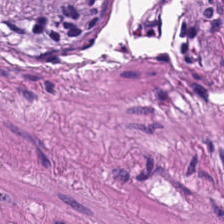Q: What is shown here?
A: This is smooth-muscle tissue.
